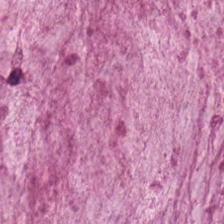H&E stain. Q: What is shown here?
A: Mucin.
